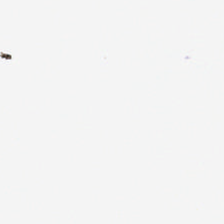Hematoxylin and eosin; WSI patch; 224×224 px tile — Empty field — no tissue.
